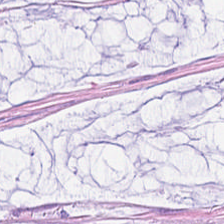Hematoxylin-and-eosin stained section.
The tissue here is extracellular mucin.
